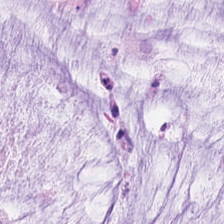H&E-stained tissue section; 20× equivalent magnification; FFPE tissue section.
The predominant tissue is extracellular mucin.
